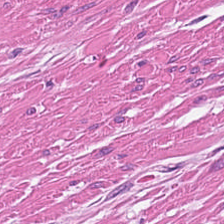H&E stain. 224×224 px tile. Predominantly smooth-muscle tissue.
